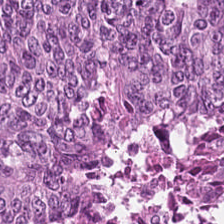H&E. {"tissue_type": "tumor epithelium"}
